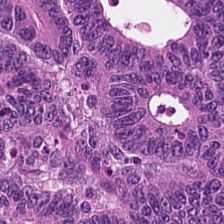H&E; whole-slide-image patch.
Colorectal adenocarcinoma epithelium.
